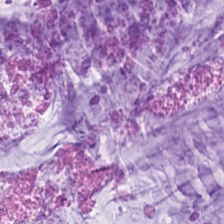224×224 px tile; hematoxylin-and-eosin stained section; formalin-fixed paraffin-embedded section.
Q: Classify this patch.
A: This is mucin.
